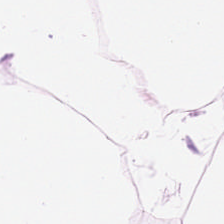H&E. Predominant tissue — fat tissue.
